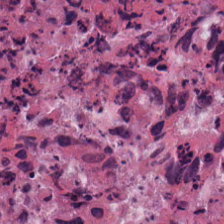Predominant tissue — cellular debris.
